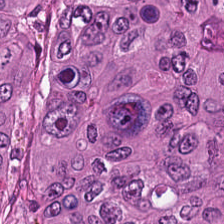Stain: H&E stain.
Predominant tissue: colorectal adenocarcinoma epithelium.
